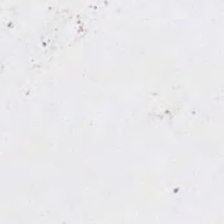Hematoxylin and eosin · FFPE · brightfield microscopy.
Q: What is shown in this field?
A: This is no tissue.
